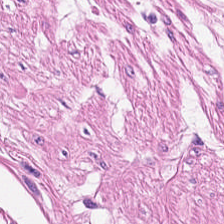224×224 px patch · hematoxylin-and-eosin stained section — This field is muscularis.
